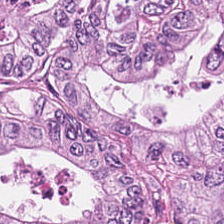Tumor epithelium.
